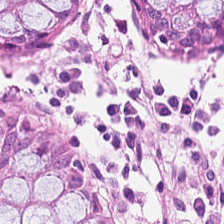H&E-stained tissue section — Finding → normal colon mucosa.
